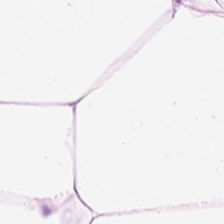H&E — Tissue type = adipose tissue.
